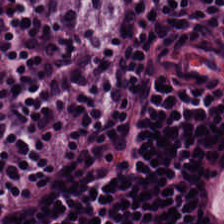H&E stain.
This patch shows lymphocytic infiltrate.
